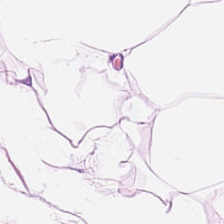Hematoxylin and eosin. Fat tissue.
